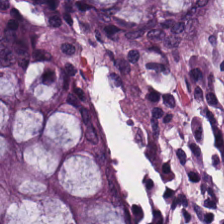Showing non-neoplastic colon mucosa.
